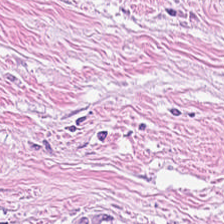H&E-stained tissue section — This field is cancer-associated stroma.
